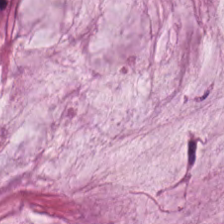Stain: hematoxylin-and-eosin stained section.
Tissue: mucus.
